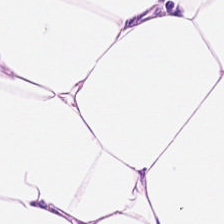Q: What is shown in this field?
A: This is adipose tissue.
